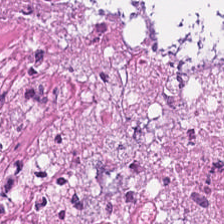H&E.
The tissue type is debris.
